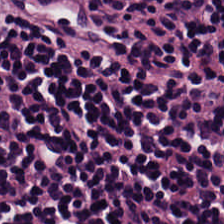20× equivalent magnification · 224×224 px tile · H&E — Finding → lymphocyte aggregate.
